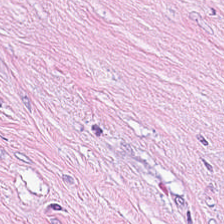Formalin-fixed paraffin-embedded section. H&E — Tissue class: tumor stroma.
